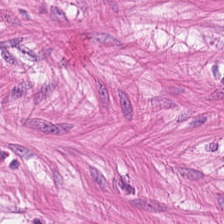{"tissue_type": "smooth-muscle tissue"}
